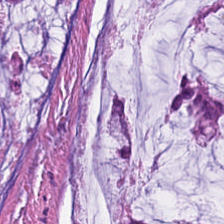H&E-stained tissue section. Impression → extracellular mucin.
